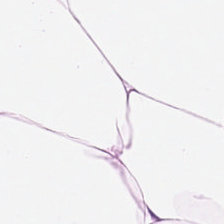Hematoxylin-and-eosin stained section — Predominant tissue — adipose.
